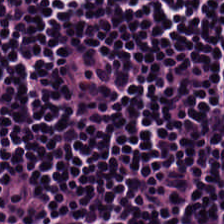H&E stain.
Lymphocytes.
